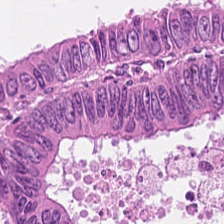Stain: H&E stain.
Preparation: FFPE.
Tile size: 224×224 pixel tile.
Tissue: tumor epithelium.
